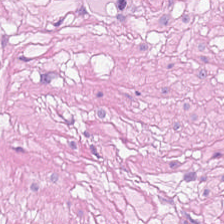Formalin-fixed paraffin-embedded section. Whole-slide-image patch. Hematoxylin and eosin. Q: What does this patch show?
A: This is smooth-muscle tissue.
